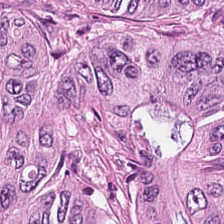Impression — adenocarcinoma.
